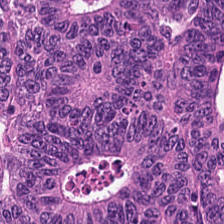Stain: H&E.
Preparation: FFPE.
Tile size: 224×224 px tile.
Tissue class: adenocarcinoma.
